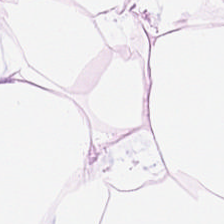The predominant tissue is adipocytes.
